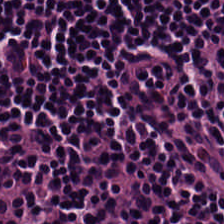224×224 px tile; H&E stain; brightfield. Lymphocytic infiltrate.
